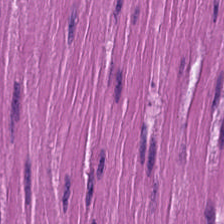Stain: H&E.
Preparation: formalin-fixed paraffin-embedded section.
Tissue class: smooth-muscle tissue.
